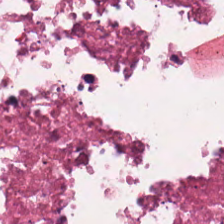Showing cellular debris.
